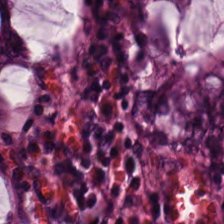Brightfield. H&E-stained tissue section. 224×224 pixel tile. The predominant tissue is non-neoplastic colon mucosa.
